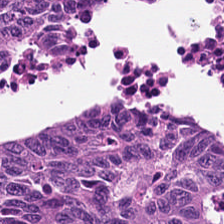H&E-stained tissue section. Predominantly malignant epithelium.
